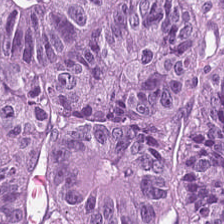Q: What tissue type is shown here?
A: This is adenocarcinoma.
